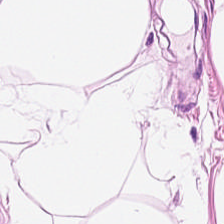Histology → adipose.
